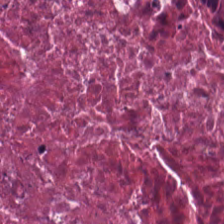Hematoxylin and eosin.
{"tissue_type": "cellular debris"}
